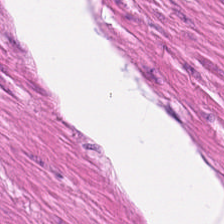FFPE · H&E. Classification = smooth-muscle tissue.
